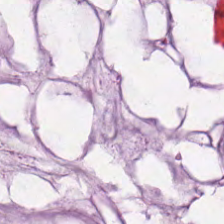Finding → mucus.
